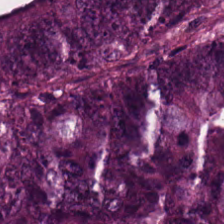20× equivalent magnification. FFPE tissue section. Hematoxylin and eosin.
The classification is tumor epithelium.
